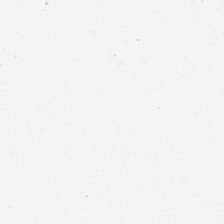H&E. Content: empty background.
